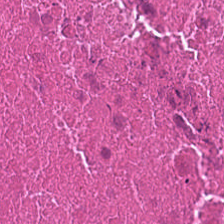The tissue class is necrotic debris.
